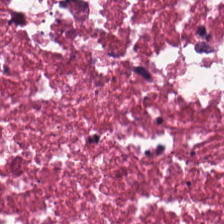Stain: hematoxylin and eosin.
Tissue: cellular debris.
